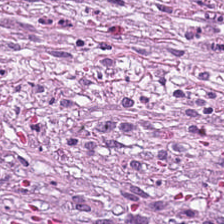H&E stain. 0.5 µm/px.
Finding → tumor-associated stroma.
